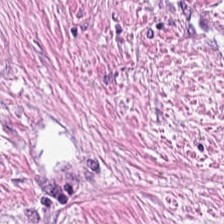Stain: H&E-stained tissue section.
Classification: desmoplastic stroma.
